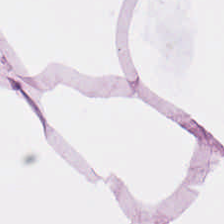224×224 px patch; H&E-stained tissue section.
The tissue here is adipocytes.
